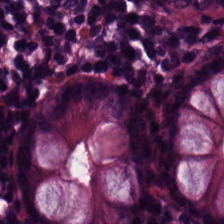Whole-slide-image patch. Hematoxylin-and-eosin stained section. The tissue is benign colonic mucosa.
